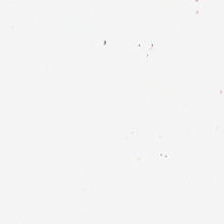224×224 px tile. 20× equivalent magnification. H&E stain. This patch shows empty background.
